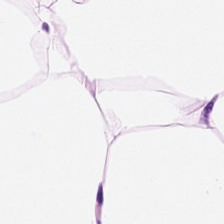0.5 µm/px; H&E — This patch shows adipose tissue.
